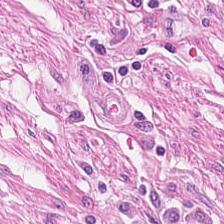Whole-slide-image patch; H&E-stained tissue section — Muscularis.
